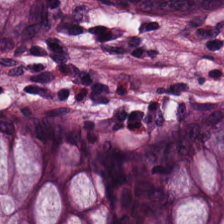H&E-stained tissue section. Tissue type: benign colonic mucosa.
